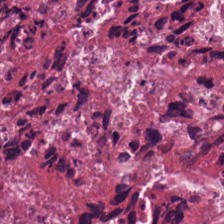Hematoxylin and eosin · 224×224 px patch · 20× equivalent magnification.
Classification: cellular debris.
